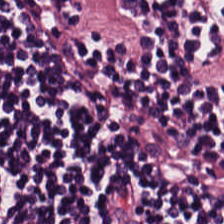20× equivalent magnification · hematoxylin-and-eosin stained section. The tissue here is lymphocyte aggregate.
